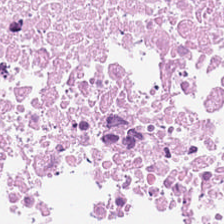Q: What is shown here?
A: Necrotic debris.
